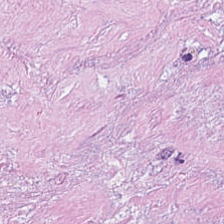H&E-stained tissue section.
Q: What is shown in this field?
A: This is cellular debris.
